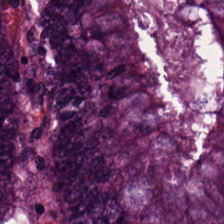Hematoxylin-and-eosin stained section · formalin-fixed paraffin-embedded section · brightfield.
Predominantly colorectal adenocarcinoma.
